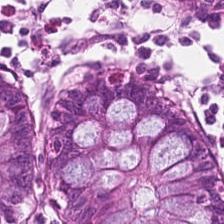Stain: hematoxylin and eosin.
Predominant tissue: normal colonic mucosa.
